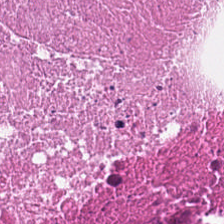Predominant tissue = cellular debris.
